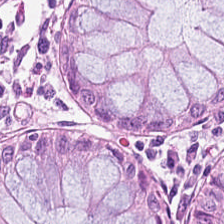Hematoxylin-and-eosin stained section — Non-neoplastic colon mucosa.
